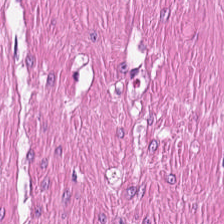H&E.
Tissue class: smooth-muscle tissue.
